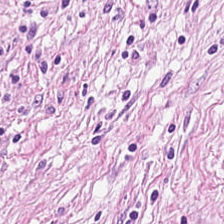Showing tumor stroma.
